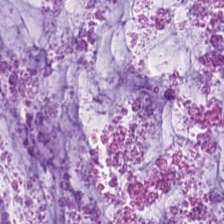Q: What is the predominant tissue type?
A: The field shows extracellular mucin.
